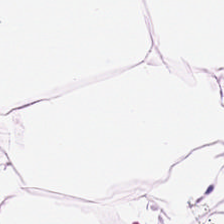H&E. Formalin-fixed paraffin-embedded section. Whole-slide-image patch — {"tissue_type": "adipocytes"}
